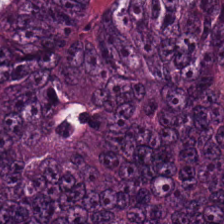Histology — malignant epithelium.
